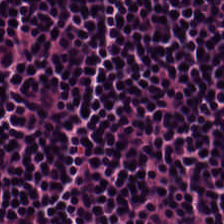{"tissue_type": "lymphocytic infiltrate"}
